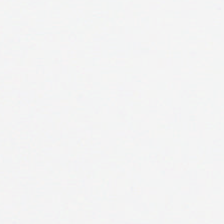H&E-stained tissue section — {"content": "no tissue"}
